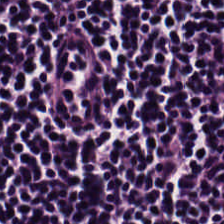Stain: H&E-stained tissue section.
Tissue class: lymphocytes.
